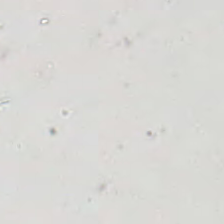Brightfield; H&E.
Finding → background.
